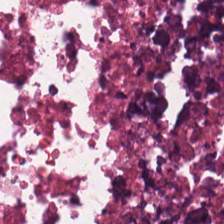Tissue type — cellular debris.
